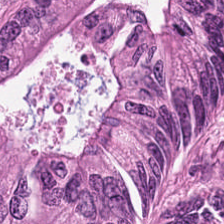Stain: H&E.
Tile size: 224×224 px patch.
Tissue class: malignant epithelium.
